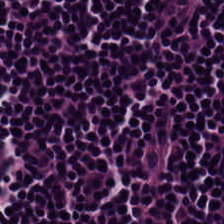224×224 px tile · hematoxylin-and-eosin stained section · 0.5 µm/px — Tissue — lymphoid infiltrate.
